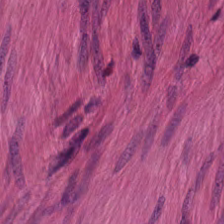H&E stain. Brightfield microscopy. 224×224 pixel tile — This field is smooth muscle.
